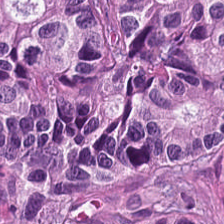Hematoxylin-and-eosin stained section. This field is colorectal adenocarcinoma.
